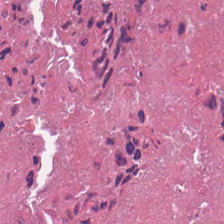Formalin-fixed paraffin-embedded section. Brightfield. Hematoxylin and eosin. Tissue type — necrotic debris.
